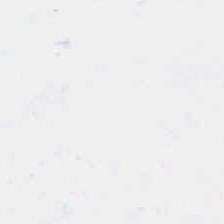Stain: hematoxylin and eosin.
Classification: background (no tissue).
